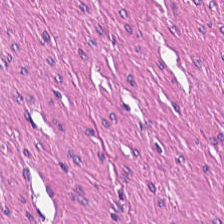224×224 px patch. H&E-stained tissue section — Smooth-muscle tissue.
